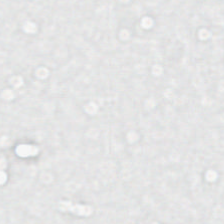Hematoxylin-and-eosin stained section. This field is background (no tissue).
